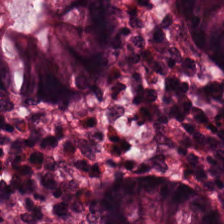H&E-stained section; the field shows normal colon mucosa.
